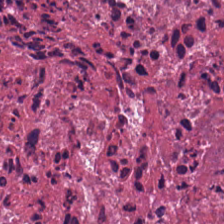H&E — Predominant tissue: necrotic debris.
